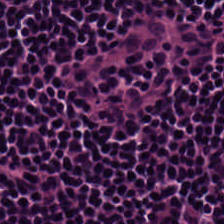Predominant tissue = lymphocytic infiltrate.
